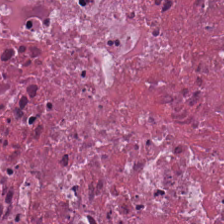H&E. Q: Identify the tissue.
A: The field shows necrotic debris.
